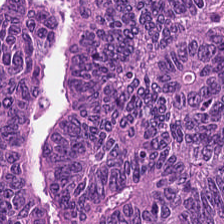Hematoxylin and eosin — Tissue — colorectal adenocarcinoma epithelium.
